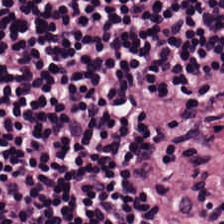H&E stain. Q: What type of tissue is this?
A: This is lymphocytes.
